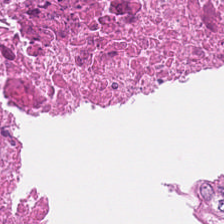Hematoxylin-and-eosin stained section — Tissue type — debris.
